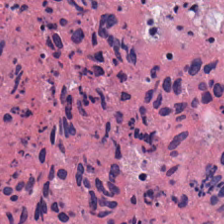H&E stain · whole-slide-image patch. Cellular debris.
